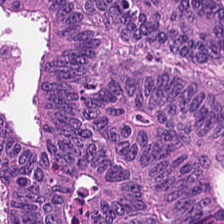Impression → malignant epithelium.
